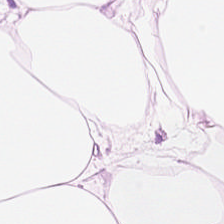Hematoxylin and eosin — Finding — adipose.
